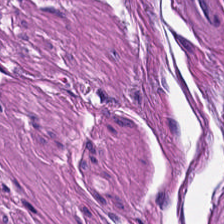Q: What tissue type is shown here?
A: Muscularis.
